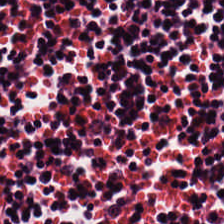Hematoxylin and eosin. Tissue type: lymphocytes.
